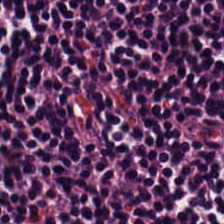H&E stain.
Tissue class: lymphocytic infiltrate.
